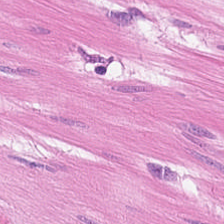Hematoxylin-and-eosin stained section. Histology → smooth muscle.
